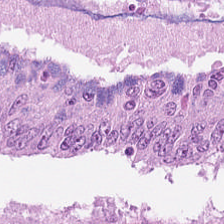Stain: H&E stain.
Predominant tissue: adenocarcinoma.
